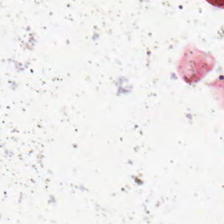Q: What is shown in this field?
A: This is empty background.
